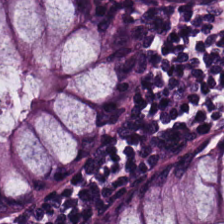Q: Classify this patch.
A: This is benign colonic mucosa.
